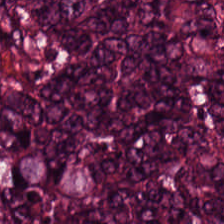H&E-stained tissue section.
Finding → colorectal adenocarcinoma epithelium.
